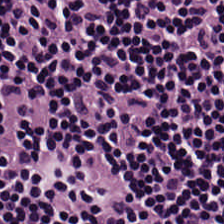Hematoxylin-and-eosin stained section.
Q: What does this patch show?
A: The field shows lymphoid infiltrate.
